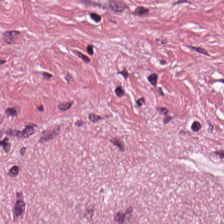Hematoxylin-and-eosin stained section — The predominant tissue is cancer-associated stroma.
